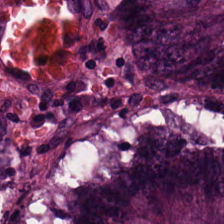Stain: hematoxylin-and-eosin stained section.
Resolution: 0.5 µm per pixel.
Tile size: 224×224 px patch.
Tissue: tumor epithelium.
